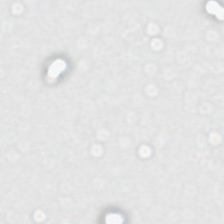Hematoxylin-and-eosin stained section. Classification = background (no tissue).
